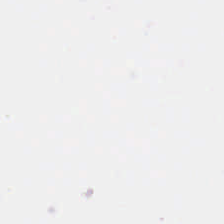Empty field — empty background.
